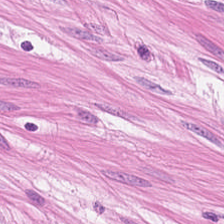Hematoxylin-and-eosin stained section.
Q: What is the predominant tissue type?
A: The field shows smooth muscle.
